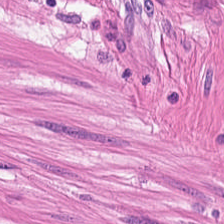H&E. FFPE tissue section. Muscularis.
